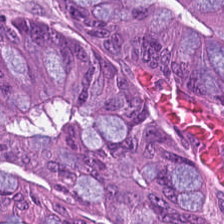The predominant tissue is adenocarcinoma.
